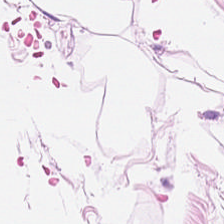Tissue class — adipose tissue.
